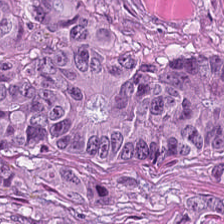Hematoxylin and eosin — This field is adenocarcinoma.
